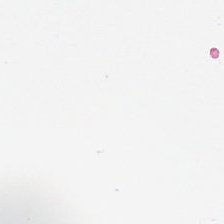Stain: H&E.
Content: empty background.
